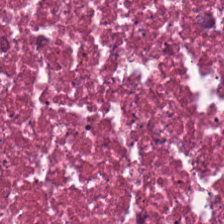Stain: H&E.
Tissue: necrotic debris.
